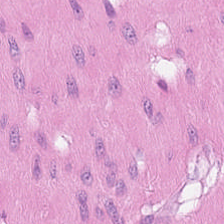Hematoxylin and eosin.
Predominantly smooth muscle.
